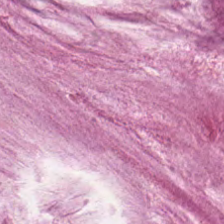Stain: hematoxylin-and-eosin stained section.
Tissue type: extracellular mucin.
